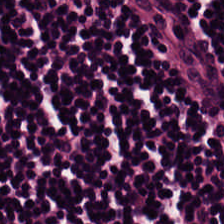20× equivalent magnification. Hematoxylin-and-eosin stained section.
Tissue type: lymphoid infiltrate.
